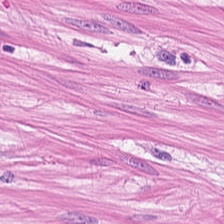H&E-stained tissue section — Predominant tissue: smooth muscle.
